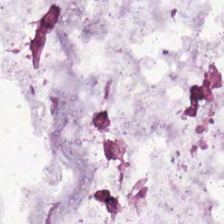H&E-stained tissue section. 224×224 px tile. Extracellular mucin.
